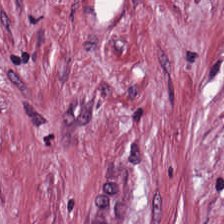H&E-stained tissue section; FFPE. Predominantly desmoplastic stroma.
